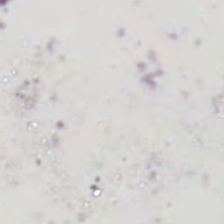H&E stain. Q: What does this patch show?
A: It is background (no tissue).
